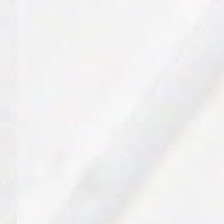Q: Classify this patch.
A: This is empty background.
